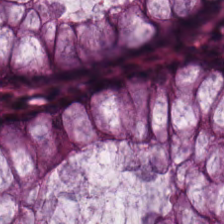224×224 px tile; H&E-stained tissue section — Histology — normal colon mucosa.
